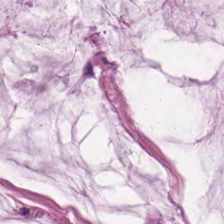20× equivalent magnification. H&E stain — Mucin.
